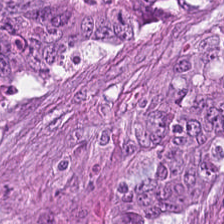20× equivalent magnification. Hematoxylin and eosin. Brightfield.
Q: What type of tissue is this?
A: Adenocarcinoma.
